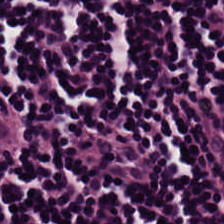Hematoxylin and eosin — Histology → lymphocyte aggregate.
